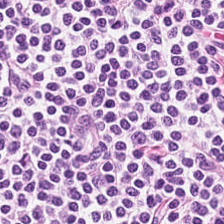H&E-stained tissue section · 224×224 px patch · FFPE. Histology → lymphoid infiltrate.
